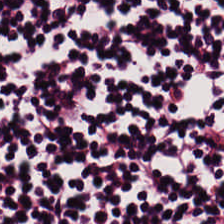Hematoxylin and eosin. Showing lymphocytes.
